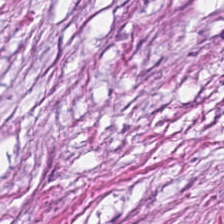Stain: H&E.
Classification: cancer-associated stroma.
